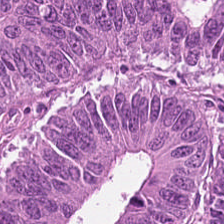Showing tumor epithelium.
